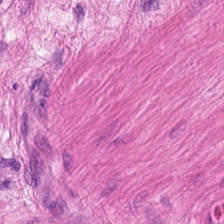Hematoxylin-and-eosin stained section · 0.5 µm per pixel. {"tissue_type": "smooth muscle"}
